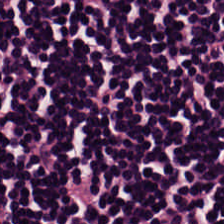0.5 µm/px. Hematoxylin and eosin. Showing lymphoid infiltrate.
